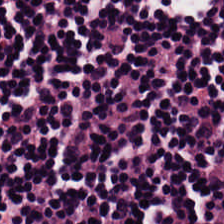The tissue is lymphocyte aggregate.
